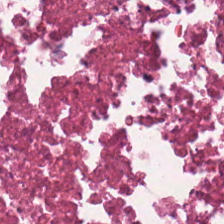H&E stain. Debris.
